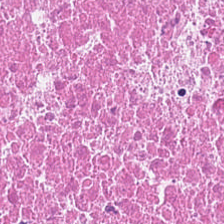H&E stain; 0.5 µm per pixel.
Classification: cellular debris.
